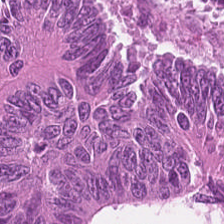224×224 px patch. Hematoxylin-and-eosin stained section.
Tissue type: colorectal adenocarcinoma epithelium.
